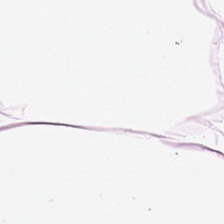H&E stain; FFPE; 0.5 µm/px. Tissue = adipose tissue.
